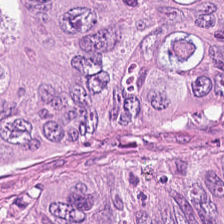The tissue class is tumor epithelium.
